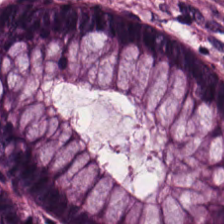FFPE · H&E-stained tissue section. Tissue class: non-neoplastic colon mucosa.
